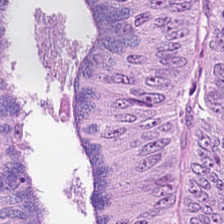Hematoxylin and eosin. Predominant tissue: colorectal adenocarcinoma epithelium.
